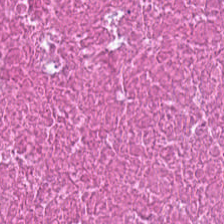Stain: H&E.
Classification: debris.
